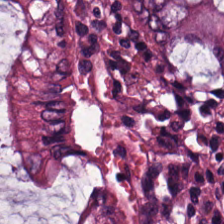224×224 px tile · H&E.
The predominant tissue is non-neoplastic colon mucosa.
